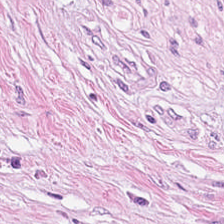The classification is tumor stroma.
